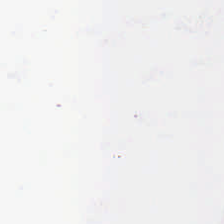H&E stain. WSI patch. This field is background (no tissue).
